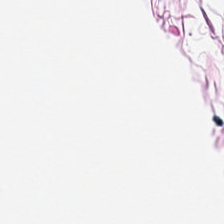Brightfield microscopy. Hematoxylin-and-eosin stained section.
Predominantly adipose tissue.
